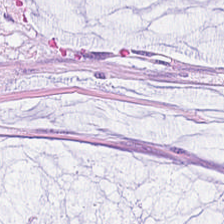H&E. 224×224 px tile. 20× equivalent magnification. Q: What tissue type is shown here?
A: This is extracellular mucin.
